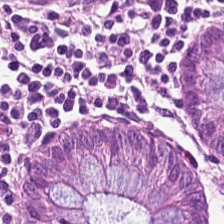Formalin-fixed paraffin-embedded section; 0.5 µm/px; H&E.
This field is normal colonic mucosa.
